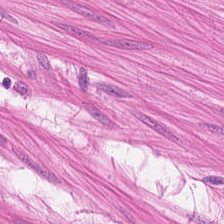Hematoxylin-and-eosin stained section; 224×224 pixel tile.
Histology — muscularis.
